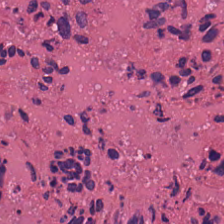0.5 microns per pixel. H&E stain. Tissue class: debris.
